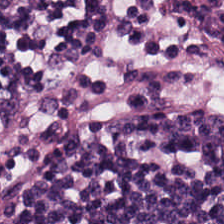{"tissue_type": "lymphocyte aggregate"}
